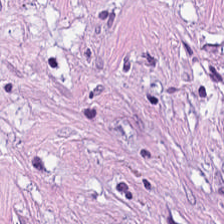H&E-stained tissue section · formalin-fixed paraffin-embedded section · 0.5 µm per pixel. Q: Classify this patch.
A: It is desmoplastic stroma.
